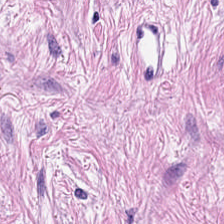FFPE tissue section · 224×224 px patch · hematoxylin-and-eosin stained section. The tissue is cancer-associated stroma.
